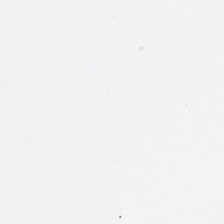WSI patch; hematoxylin-and-eosin stained section; 224×224 px patch — Field content — background.
